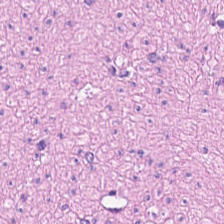Tissue class = smooth muscle.
